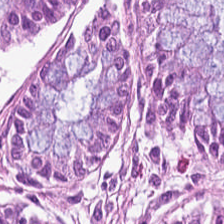Formalin-fixed paraffin-embedded section · 224×224 pixel tile · H&E — Histology — normal colonic mucosa.
